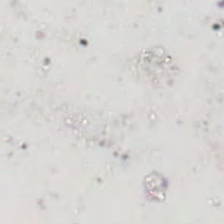Content: no tissue.
